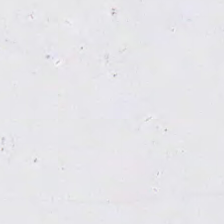Impression → background (no tissue).
